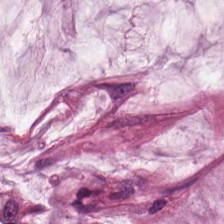H&E. Tissue = mucin.
